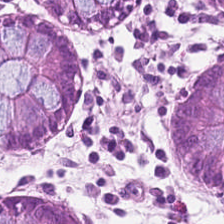The predominant tissue is non-neoplastic colon mucosa.
